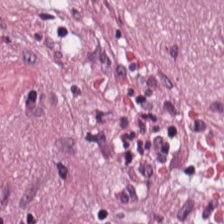H&E stain.
Histology — desmoplastic stroma.
